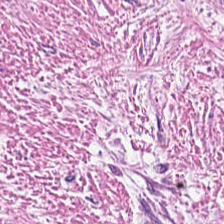H&E stain; WSI patch; 20× equivalent magnification — The tissue here is cancer-associated stroma.
